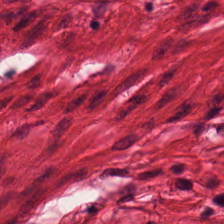H&E — The classification is muscularis.
